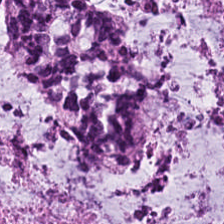0.5 µm/px. H&E stain. {"tissue_type": "mucin"}
